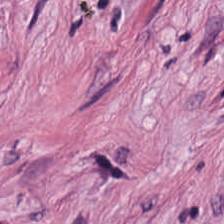Hematoxylin and eosin · 224×224 px patch.
Tissue: cancer-associated stroma.
